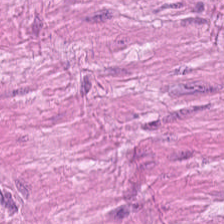{"tissue_type": "smooth-muscle tissue"}
